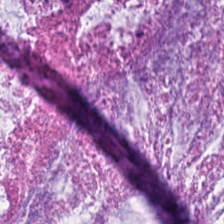This field is mucus.
